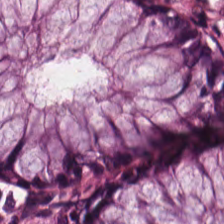WSI patch; H&E stain; formalin-fixed paraffin-embedded section.
Predominantly non-neoplastic colon mucosa.
